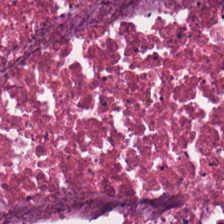Hematoxylin-and-eosin stained section. The tissue here is necrotic debris.
